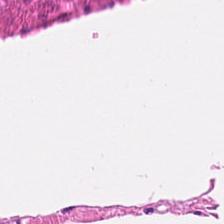0.5 µm/px · H&E. Histology — muscularis.
